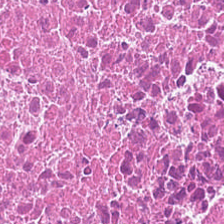Hematoxylin and eosin. Showing necrotic debris.
